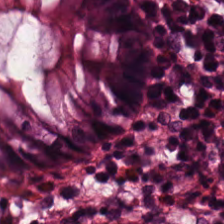H&E stain. FFPE.
Benign colonic mucosa.
